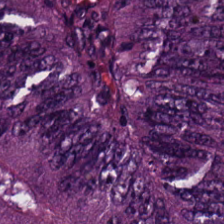Hematoxylin and eosin; 0.5 microns per pixel; formalin-fixed paraffin-embedded section — This patch shows adenocarcinoma.
